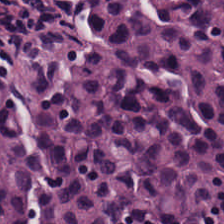Hematoxylin and eosin; 224×224 pixel tile.
Classification: lymphocytic infiltrate.
